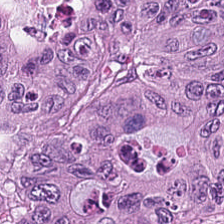H&E-stained tissue section. WSI patch. 224×224 px tile.
Histology → colorectal adenocarcinoma.
